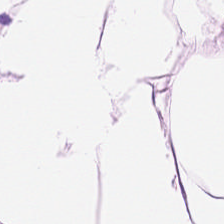224×224 px patch. H&E.
Adipose tissue.
